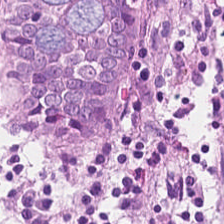Hematoxylin and eosin. Showing benign colonic mucosa.
